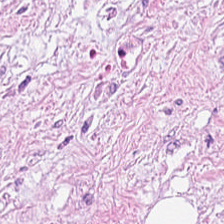Hematoxylin-and-eosin stained section; 224×224 pixel tile. Classification — cancer-associated stroma.
